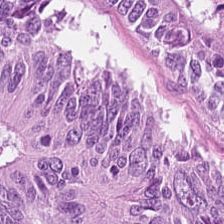Tissue type: colorectal adenocarcinoma.
